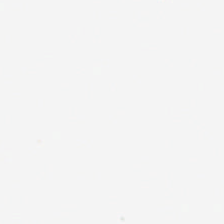H&E-stained tissue section. Q: What is shown here?
A: It is empty background.
